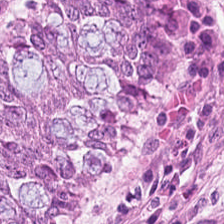Q: What does this patch show?
A: This is normal colonic mucosa.
